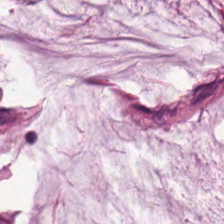Formalin-fixed paraffin-embedded section. Hematoxylin and eosin. Q: What type of tissue is this?
A: The field shows extracellular mucin.
